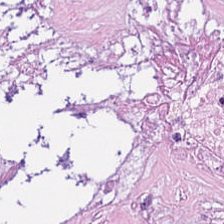224×224 pixel tile · H&E. Predominant tissue = debris.
